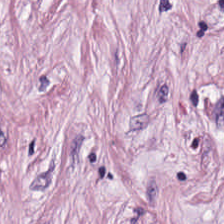Stain: H&E-stained tissue section.
Tile size: 224×224 pixel tile.
Predominant tissue: tumor-associated stroma.
